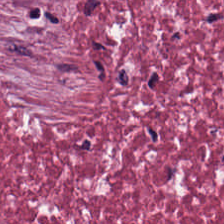H&E stain — {"tissue_type": "cancer-associated stroma"}
